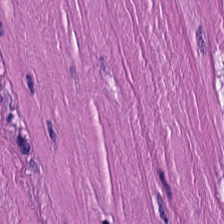Muscularis.
